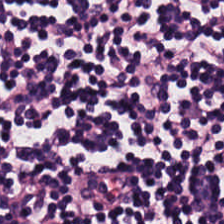Whole-slide-image patch · H&E. Predominant tissue = lymphoid infiltrate.
